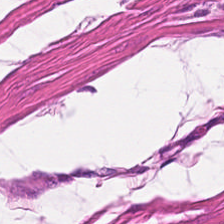This patch shows muscularis.
